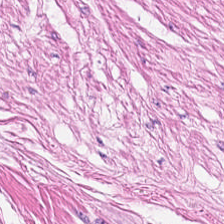FFPE tissue section; H&E; brightfield microscopy.
Tissue class = smooth-muscle tissue.
